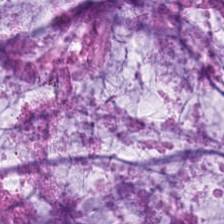Hematoxylin-and-eosin stained section · 0.5 µm/px · brightfield — Q: What is shown in this field?
A: This is mucin.
